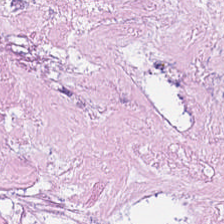H&E · 0.5 µm/px. Finding — cellular debris.
